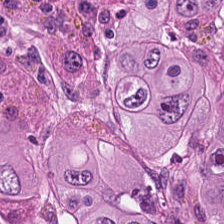Tissue = colorectal adenocarcinoma.
